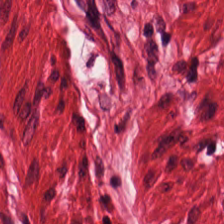The tissue type is muscularis.
